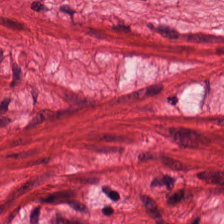H&E — The tissue here is muscularis.
